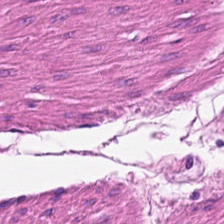Stain: H&E.
Classification: muscularis.
